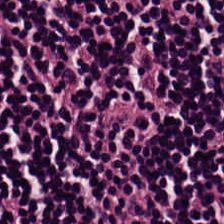H&E — Q: What type of tissue is this?
A: The field shows lymphoid infiltrate.
